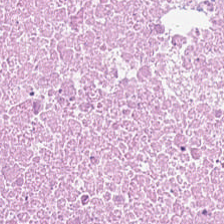Hematoxylin-and-eosin stained section — Q: What is the predominant tissue type?
A: The field shows cellular debris.
